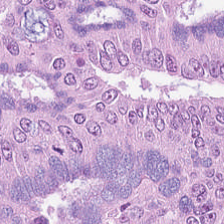Hematoxylin-and-eosin stained section. 0.5 microns per pixel — Predominant tissue — tumor epithelium.
